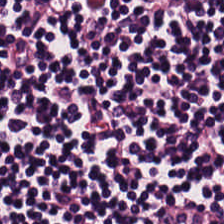Hematoxylin and eosin; 20× equivalent magnification. The tissue is lymphocytic infiltrate.
